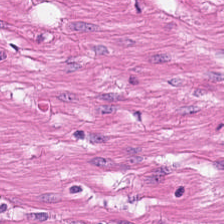H&E stain · 0.5 µm per pixel — This field is smooth-muscle tissue.
